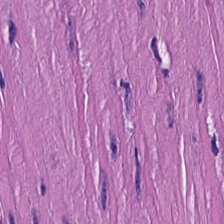224×224 pixel tile · H&E-stained tissue section.
Q: What is shown here?
A: Smooth muscle.
